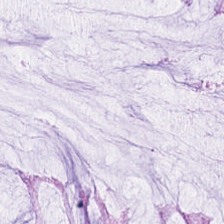Q: Classify this patch.
A: Non-neoplastic colon mucosa.
